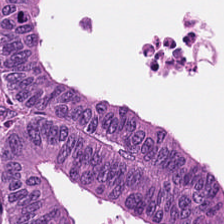The predominant tissue is malignant epithelium.
